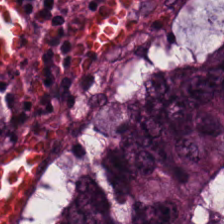FFPE tissue section; hematoxylin and eosin. Classification — tumor epithelium.
